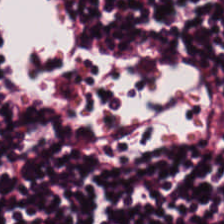H&E — lymphocyte aggregate.
